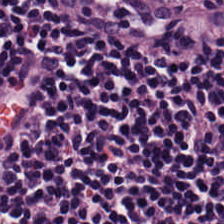Stain: H&E.
Classification: lymphocytes.
